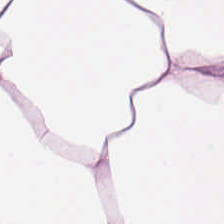224×224 px tile. Hematoxylin and eosin — This patch shows fat tissue.
